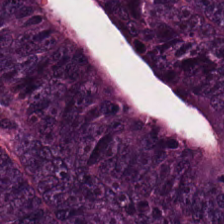Hematoxylin and eosin — Histology → tumor epithelium.
